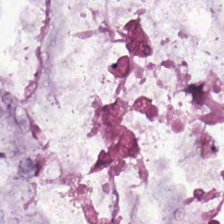Hematoxylin and eosin. This field is mucin.
